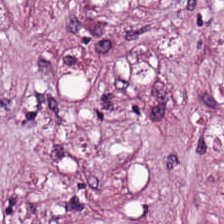0.5 microns per pixel; hematoxylin and eosin; FFPE — Q: Identify the tissue.
A: It is cancer-associated stroma.
